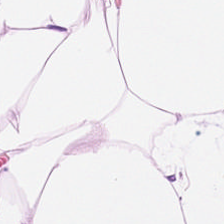Hematoxylin-and-eosin stained section.
{"tissue_type": "adipose tissue"}
